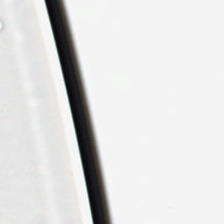This patch shows empty background.
